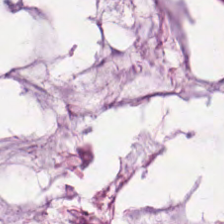H&E stain. 224×224 pixel tile.
{"tissue_type": "extracellular mucin"}
